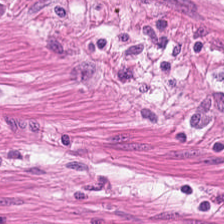0.5 microns per pixel · H&E-stained tissue section — Predominant tissue = smooth-muscle tissue.
